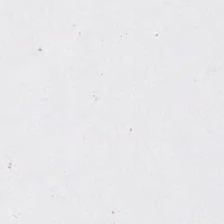Brightfield microscopy · H&E-stained tissue section — This patch shows no tissue.
